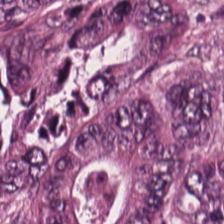Impression — malignant epithelium.
